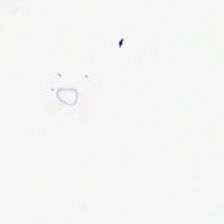Hematoxylin-and-eosin stained section. Brightfield microscopy. 224×224 px patch.
Content: background (no tissue).
